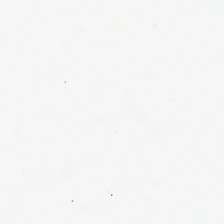H&E · 224×224 px patch — Q: Classify this patch.
A: It is background (no tissue).
